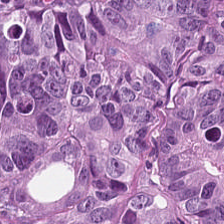Histology → adenocarcinoma.
